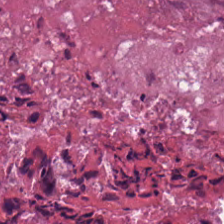H&E stain · FFPE tissue section · 224×224 px tile.
Impression — debris.
